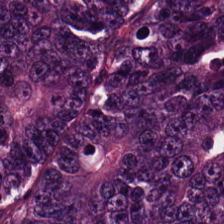0.5 µm per pixel. Hematoxylin and eosin. 224×224 px tile. Q: What is the predominant tissue type?
A: It is colorectal adenocarcinoma.
